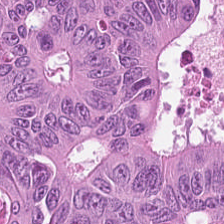Tissue class = malignant epithelium.
